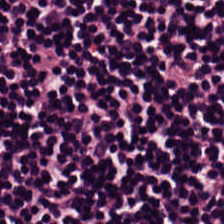FFPE tissue section; H&E stain. Showing lymphoid infiltrate.
